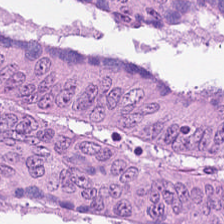Impression → colorectal adenocarcinoma.
